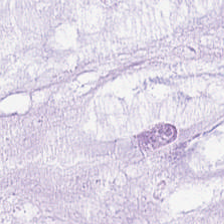H&E — Q: Identify the tissue.
A: This is mucus.
